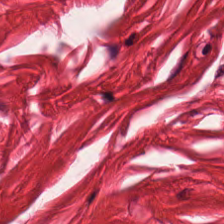Hematoxylin-and-eosin stained section · 224×224 px patch · brightfield microscopy — This patch shows smooth-muscle tissue.
